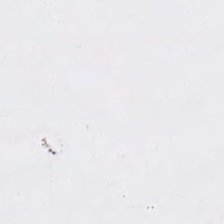Stain: H&E-stained tissue section.
Tile size: 224×224 px patch.
Field content: background.
